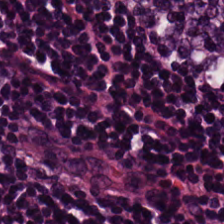H&E stain · brightfield microscopy · 0.5 µm/px.
Tissue type = lymphocyte aggregate.
